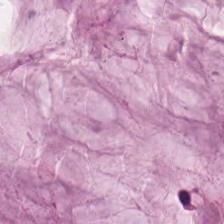H&E-stained section; the field shows mucus.
